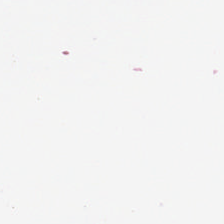Q: What is shown in this field?
A: It is empty background.
